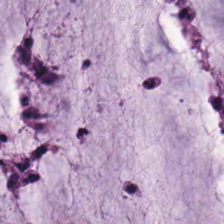Q: Classify this patch.
A: The field shows mucin.
